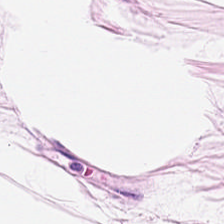Hematoxylin-and-eosin stained section.
This patch shows fat tissue.
